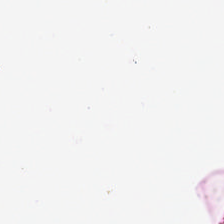H&E-stained tissue section — No tissue present; background only.
